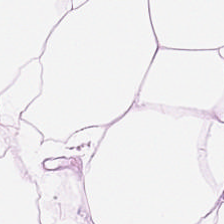Finding — adipocytes.
